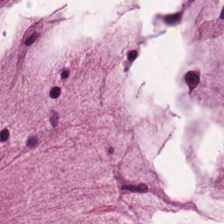Classification: extracellular mucin.
